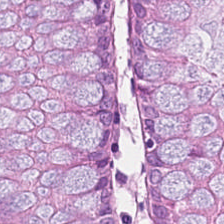H&E stain; 0.5 µm per pixel — Non-neoplastic colon mucosa.
